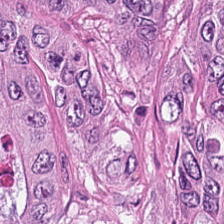Hematoxylin and eosin. Tissue class = colorectal adenocarcinoma.
